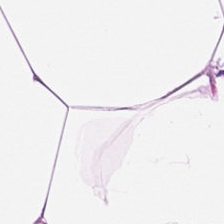Hematoxylin and eosin.
Showing adipose.
